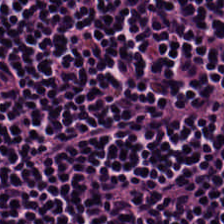0.5 microns per pixel. Hematoxylin-and-eosin stained section — Q: What does this patch show?
A: It is lymphocyte aggregate.
